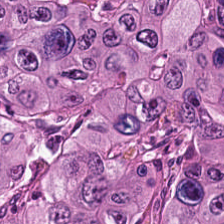H&E — Impression → colorectal adenocarcinoma.
